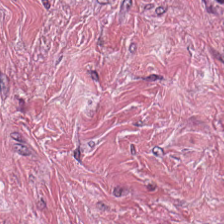0.5 µm per pixel. H&E — Predominantly desmoplastic stroma.
